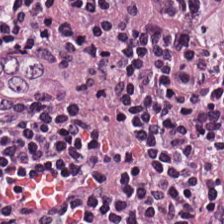H&E — Impression → lymphocytic infiltrate.
